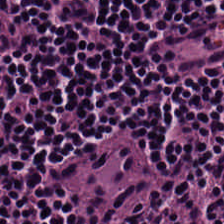H&E stain — Q: What type of tissue is this?
A: The field shows lymphoid infiltrate.
